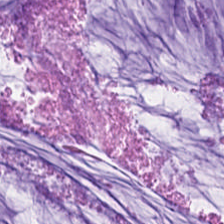H&E stain — {"tissue_type": "extracellular mucin"}
